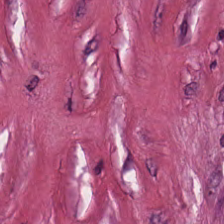Hematoxylin and eosin. Tissue — tumor stroma.
